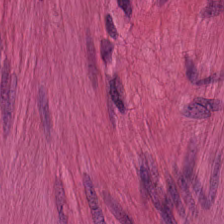The predominant tissue is smooth muscle.
